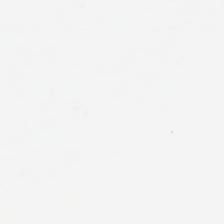Hematoxylin-and-eosin stained section · 224×224 px tile · formalin-fixed paraffin-embedded section.
The field content is no tissue.
